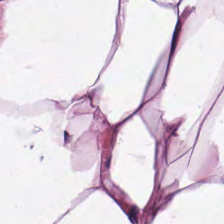H&E · WSI patch.
The tissue here is adipose.
